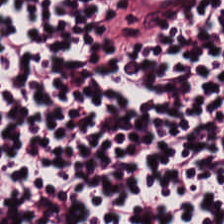Stain: hematoxylin-and-eosin stained section.
Tile size: 224×224 pixel tile.
Acquisition: brightfield microscopy.
Predominant tissue: lymphocyte aggregate.
